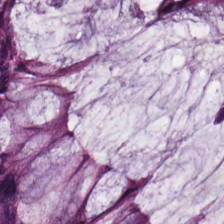H&E stain. 224×224 pixel tile. 0.5 µm/px — The tissue here is normal colon mucosa.
